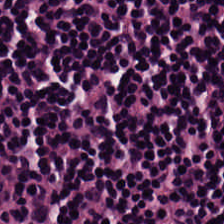224×224 px tile · formalin-fixed paraffin-embedded section · hematoxylin and eosin — Histology → lymphocytic infiltrate.
